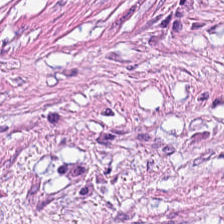FFPE tissue section. 0.5 µm/px. Hematoxylin and eosin.
Q: Classify this patch.
A: This is tumor stroma.
